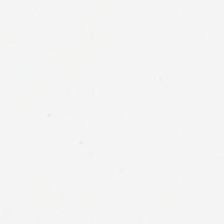H&E-stained tissue section · 224×224 px patch — Q: What does this patch show?
A: Empty background.
